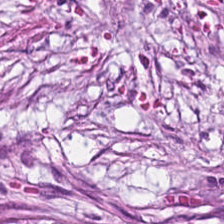Formalin-fixed paraffin-embedded section · H&E stain.
Showing cancer-associated stroma.
